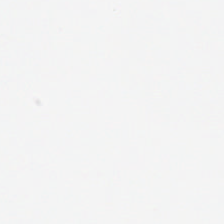224×224 px tile · H&E stain · FFPE — Empty field — empty background.
